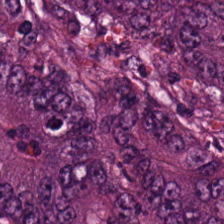WSI patch. H&E stain. This field is tumor epithelium.
